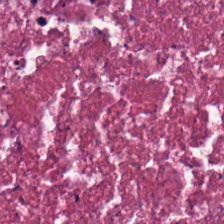Predominant tissue — necrotic debris.
